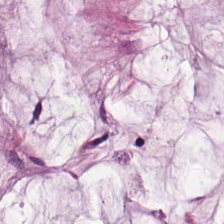20× equivalent magnification. H&E stain.
Predominant tissue — mucin.
